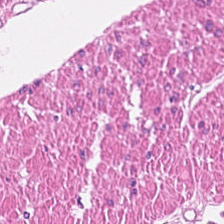H&E-stained tissue section. Classification — muscularis.
